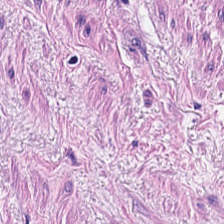H&E.
The classification is muscularis.
